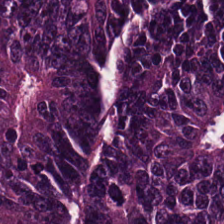H&E-stained tissue section.
Histology — adenocarcinoma.
